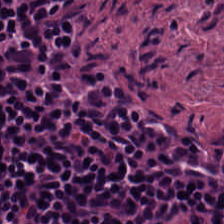224×224 pixel tile; hematoxylin and eosin; brightfield microscopy — Q: What does this patch show?
A: This is lymphocytic infiltrate.
